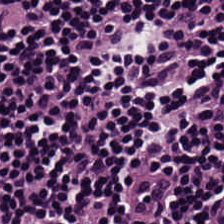0.5 microns per pixel. H&E-stained tissue section.
Predominantly lymphoid infiltrate.
